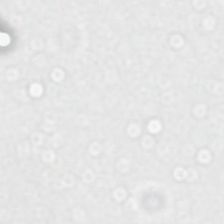Hematoxylin and eosin.
Empty field — no tissue.
